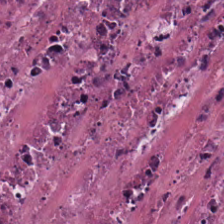H&E — debris.
